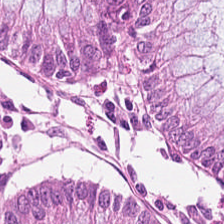H&E-stained section; the field shows benign colonic mucosa.
